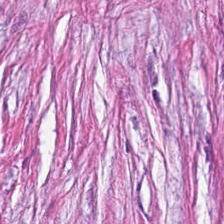H&E-stained tissue section — Histology → tumor-associated stroma.
